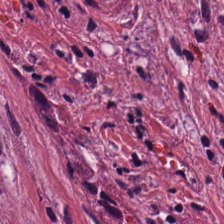Stain: hematoxylin-and-eosin stained section.
Tissue type: tumor-associated stroma.
